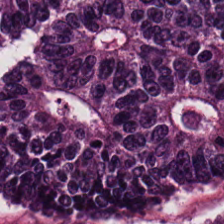Hematoxylin-and-eosin stained section · 20× equivalent magnification · FFPE.
This patch shows colorectal adenocarcinoma.
